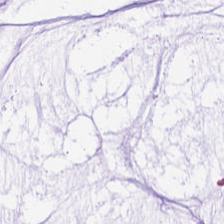Whole-slide-image patch; 20× equivalent magnification; H&E — Predominantly mucin.
